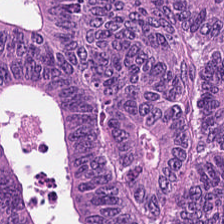H&E — malignant epithelium.
